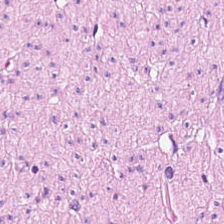Tissue = muscularis.
